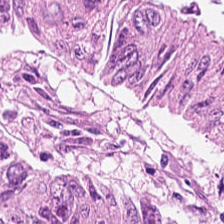Hematoxylin-and-eosin stained section — Q: Identify the tissue.
A: Colorectal adenocarcinoma.
